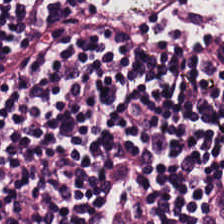Hematoxylin-and-eosin section: lymphocytic infiltrate.
